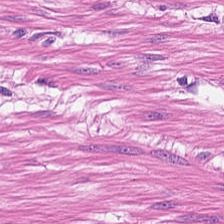Hematoxylin and eosin · brightfield microscopy.
Classification = muscularis.
